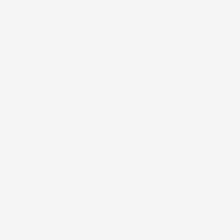Empty field — empty background.
